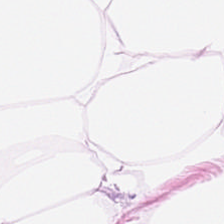Stain: H&E-stained tissue section.
Tissue: adipose.
